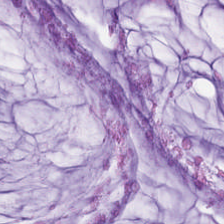H&E stain · formalin-fixed paraffin-embedded section · whole-slide-image patch. The tissue here is mucin.
